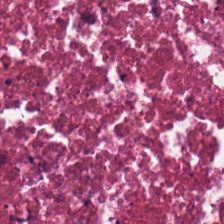H&E-stained tissue section. Q: What is shown here?
A: This is necrotic debris.
